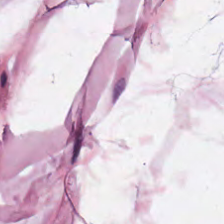Hematoxylin-and-eosin stained section; 0.5 µm/px; WSI patch. The predominant tissue is adipocytes.
